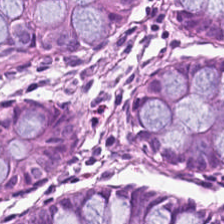H&E-stained section; the field shows non-neoplastic colon mucosa.
